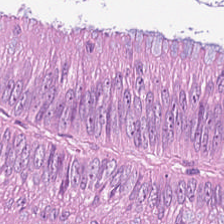Hematoxylin and eosin.
Q: Classify this patch.
A: This is malignant epithelium.
